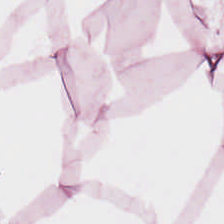H&E-stained tissue section · 224×224 px patch · 20× equivalent magnification. Showing adipose tissue.
